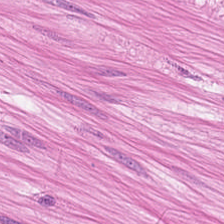224×224 px patch; WSI patch; H&E. Histology — muscularis.
